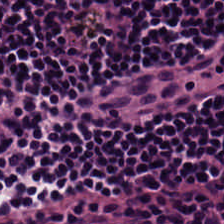This patch shows lymphocyte aggregate.
